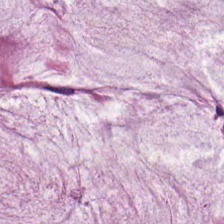This field is mucin.
